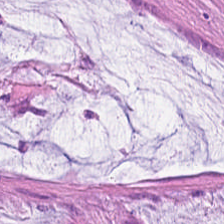Hematoxylin-and-eosin stained section; 224×224 px patch.
The tissue here is mucin.
